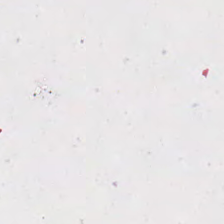Field content: background.
